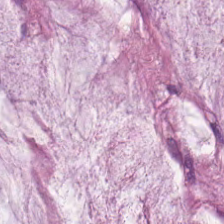H&E-stained tissue section. The predominant tissue is extracellular mucin.
